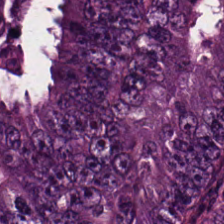224×224 px tile · hematoxylin-and-eosin stained section · brightfield. The predominant tissue is colorectal adenocarcinoma.
